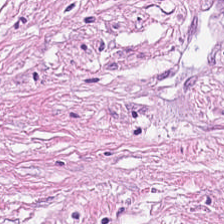H&E — tumor stroma.
